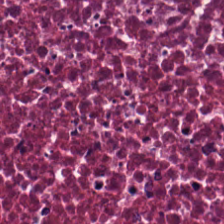Hematoxylin and eosin — Predominantly debris.
